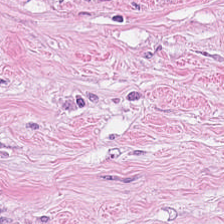Stain: H&E stain.
Tissue class: tumor stroma.
